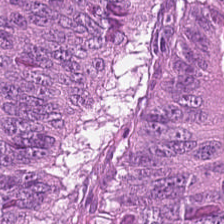H&E.
Tissue — tumor epithelium.
